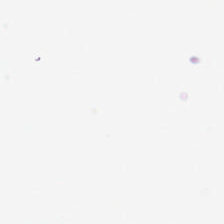224×224 pixel tile · H&E stain.
{"content": "empty background"}
